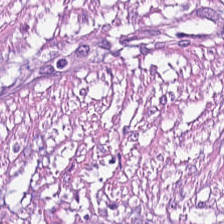224×224 px tile; 0.5 microns per pixel; hematoxylin-and-eosin stained section.
Tissue type = desmoplastic stroma.
